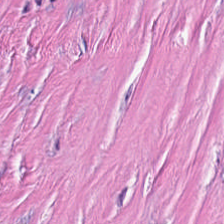Formalin-fixed paraffin-embedded section; H&E; whole-slide-image patch — Q: What is shown in this field?
A: The field shows cancer-associated stroma.
